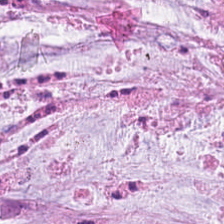H&E stain.
Finding — mucin.
